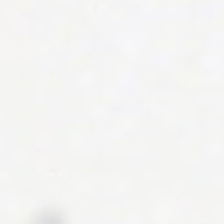Field content: background (no tissue).
